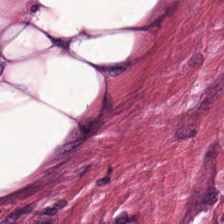Hematoxylin-and-eosin stained section · 0.5 µm/px · whole-slide-image patch — Cancer-associated stroma.
